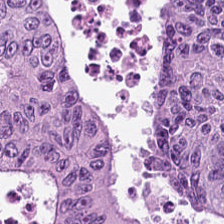H&E stain.
The tissue here is tumor epithelium.
